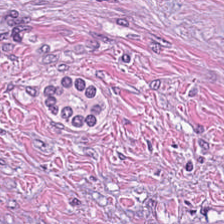Stain: hematoxylin-and-eosin stained section.
Tissue: tumor stroma.
